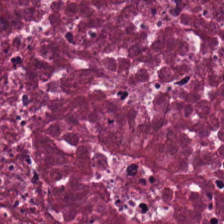20× equivalent magnification; H&E stain — Impression — cellular debris.
